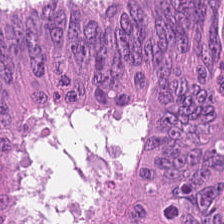H&E stain. Showing adenocarcinoma.
